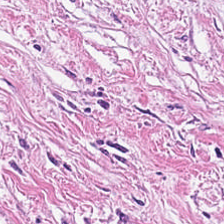Hematoxylin-and-eosin stained section; 224×224 px patch — Showing cancer-associated stroma.
